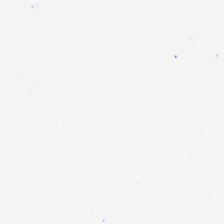Stain: H&E stain.
Resolution: 0.5 µm/px.
Field content: background.
